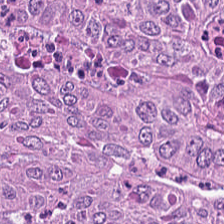Hematoxylin and eosin · brightfield microscopy. Predominantly colorectal adenocarcinoma.
